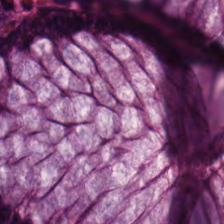Hematoxylin-and-eosin stained section — The tissue is benign colonic mucosa.
